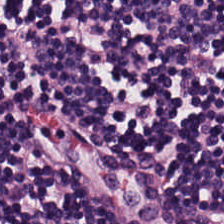H&E. Tissue = lymphoid infiltrate.
